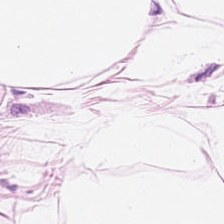224×224 px tile; formalin-fixed paraffin-embedded section; hematoxylin-and-eosin stained section.
Tissue type = adipose.
